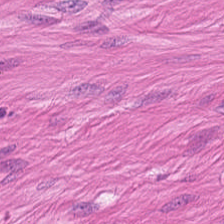This patch shows muscularis.
